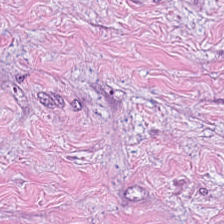Hematoxylin-and-eosin stained section — Q: What is shown here?
A: Tumor-associated stroma.
